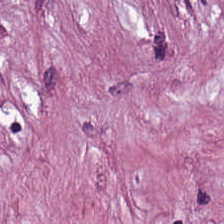0.5 µm per pixel; H&E-stained tissue section. This patch shows tumor-associated stroma.
